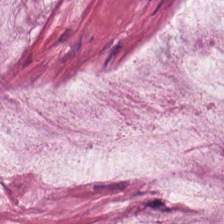H&E-stained tissue section — Finding — mucus.
